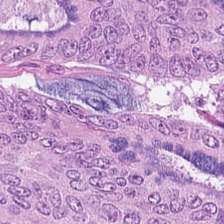H&E stain. Q: What does this patch show?
A: It is adenocarcinoma.
